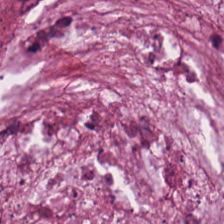{"tissue_type": "extracellular mucin"}
